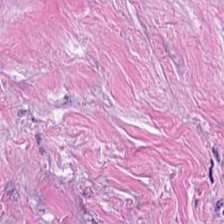Hematoxylin-and-eosin stained section. Tissue type: cancer-associated stroma.
